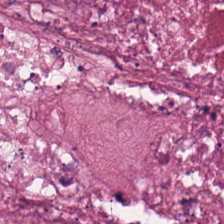Hematoxylin and eosin. Whole-slide-image patch.
Showing cellular debris.
